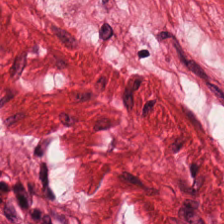H&E-stained tissue section; 224×224 px tile; 20× equivalent magnification. Predominantly smooth muscle.
